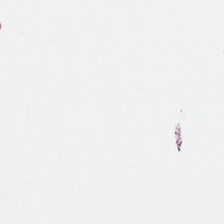FFPE tissue section; 224×224 px tile; H&E stain — This field is background (no tissue).
